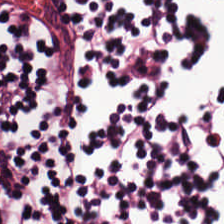H&E-stained tissue section — The predominant tissue is lymphoid infiltrate.
